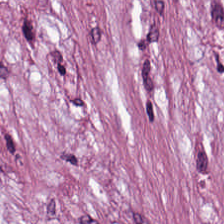Brightfield microscopy; H&E stain.
Q: What tissue is shown?
A: Cancer-associated stroma.
